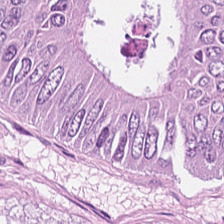H&E; 224×224 pixel tile.
The tissue here is adenocarcinoma.
